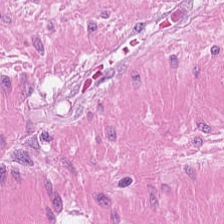Histology → smooth-muscle tissue.
